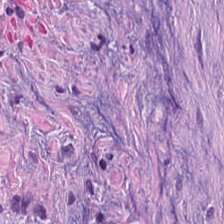Hematoxylin-and-eosin stained section — This field is tumor-associated stroma.
